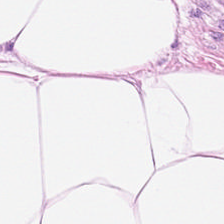Stain: hematoxylin and eosin.
Predominant tissue: adipose.
